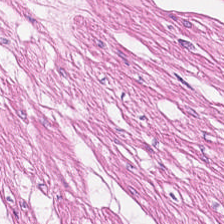Predominant tissue: smooth-muscle tissue.
